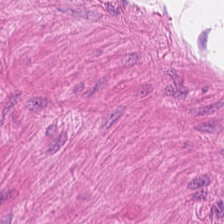H&E — Classification — muscularis.
